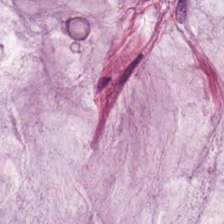Hematoxylin-and-eosin stained section.
Predominantly mucus.
